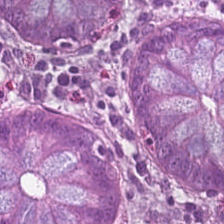Finding — non-neoplastic colon mucosa.
